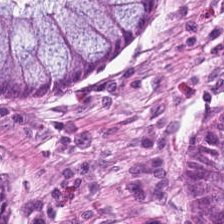Hematoxylin and eosin; WSI patch; 224×224 px patch.
This patch shows normal colonic mucosa.
